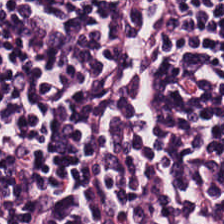H&E-stained tissue section; brightfield. Finding → lymphocytes.
